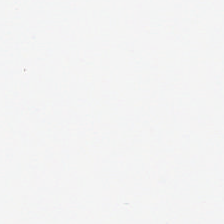This patch shows background.
